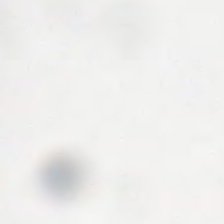H&E; 20× equivalent magnification; 224×224 pixel tile — Empty field — background.
